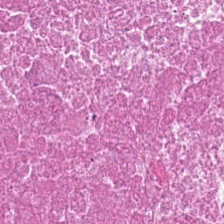H&E-stained tissue section. Classification — cellular debris.
